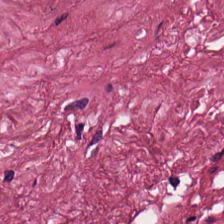H&E-stained tissue section.
Q: What is shown here?
A: Tumor stroma.
